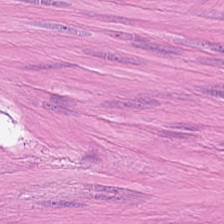H&E stain. WSI patch. Q: Classify this patch.
A: This is muscularis.
